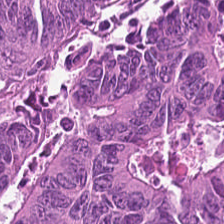20× equivalent magnification; H&E stain — Tissue class = tumor epithelium.
